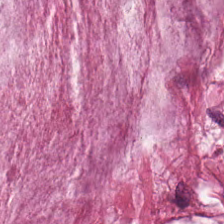Hematoxylin and eosin · 224×224 px tile · brightfield microscopy. The tissue class is extracellular mucin.
